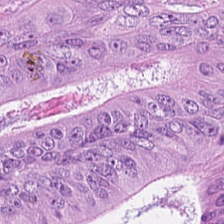H&E. Colorectal adenocarcinoma.
